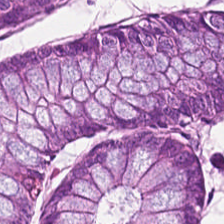H&E stain.
The predominant tissue is normal colon mucosa.
